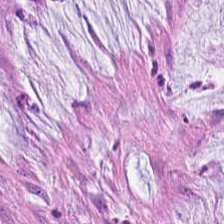H&E-stained tissue section — {"tissue_type": "mucus"}
